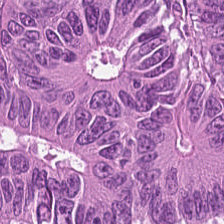H&E — adenocarcinoma.
